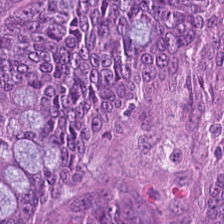Histology → colorectal adenocarcinoma.
